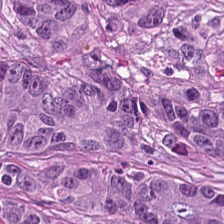Histology — colorectal adenocarcinoma epithelium.
